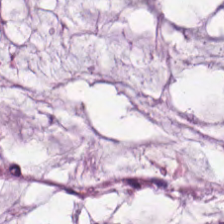Showing extracellular mucin.
